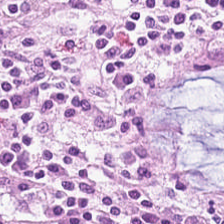0.5 µm/px. Whole-slide-image patch. H&E-stained tissue section — Showing non-neoplastic colon mucosa.
